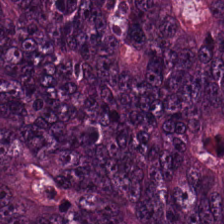H&E-stained tissue section — Tissue class = colorectal adenocarcinoma.
